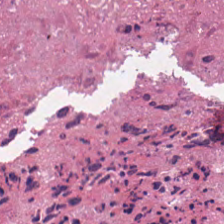H&E-stained tissue section; 20× equivalent magnification — Q: What tissue is shown?
A: This is necrotic debris.
